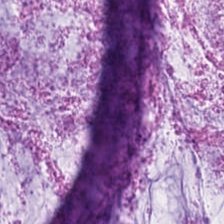H&E stain. 0.5 µm/px. {"tissue_type": "extracellular mucin"}
